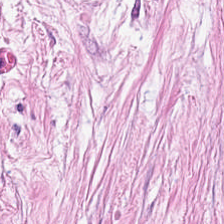The predominant tissue is desmoplastic stroma.
